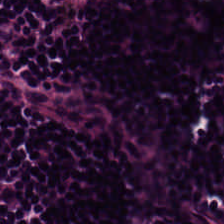Hematoxylin-and-eosin stained section.
{"tissue_type": "lymphoid infiltrate"}
